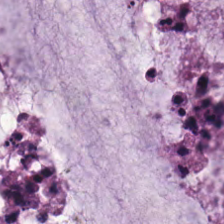224×224 px patch. H&E stain.
{"tissue_type": "mucus"}
